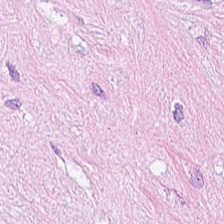Q: What tissue is shown?
A: The field shows desmoplastic stroma.
